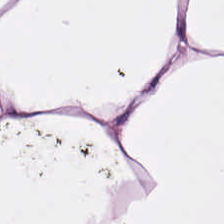Stain: hematoxylin-and-eosin stained section.
Tissue type: fat tissue.
